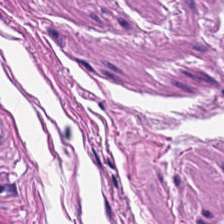FFPE tissue section. H&E-stained tissue section. Classification — muscularis.
